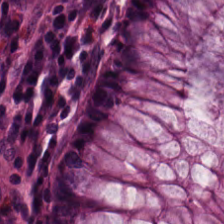Stain: H&E.
Resolution: 0.5 µm per pixel.
Tissue: normal colon mucosa.
